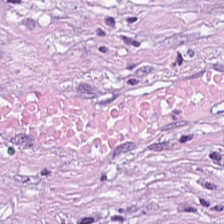H&E. The tissue here is desmoplastic stroma.
